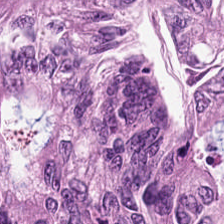0.5 µm/px · hematoxylin-and-eosin stained section. This patch shows colorectal adenocarcinoma.
